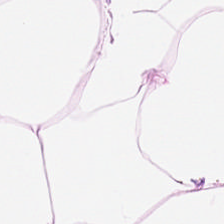Hematoxylin-and-eosin stained section. Finding — adipose tissue.
